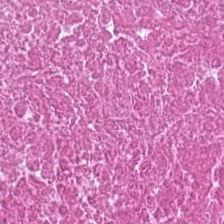0.5 microns per pixel · hematoxylin and eosin · FFPE tissue section — Tissue type: necrotic debris.
